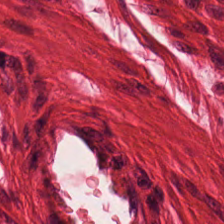Hematoxylin and eosin.
Predominantly smooth muscle.
